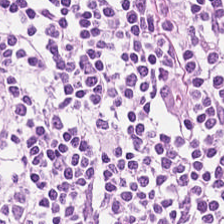H&E-stained tissue section.
Q: What is shown in this field?
A: This is lymphocyte aggregate.
